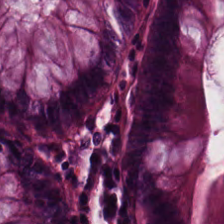H&E stain · 224×224 px patch.
Tissue class: non-neoplastic colon mucosa.
